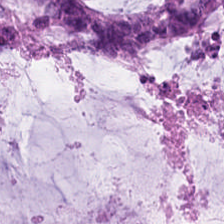224×224 px patch · hematoxylin and eosin · 0.5 microns per pixel. Q: Identify the tissue.
A: Mucus.
